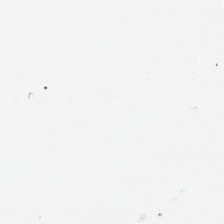Stain: H&E stain.
Classification: no tissue.
